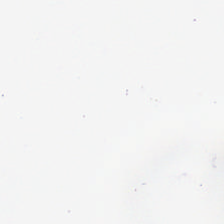Hematoxylin and eosin.
Impression → empty background.
